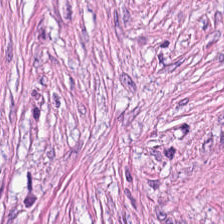This field is desmoplastic stroma.
